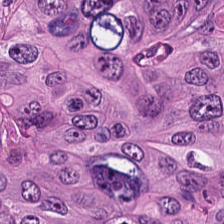H&E-stained tissue section. Predominantly colorectal adenocarcinoma epithelium.
